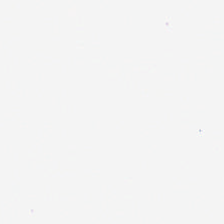Stain: H&E-stained tissue section.
Tile size: 224×224 pixel tile.
Field content: background (no tissue).
